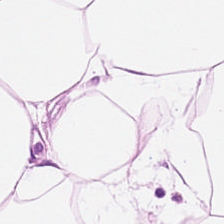H&E — The predominant tissue is adipose.
